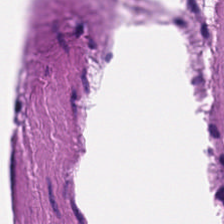Brightfield microscopy. H&E-stained tissue section. FFPE tissue section. Tissue type: smooth-muscle tissue.
